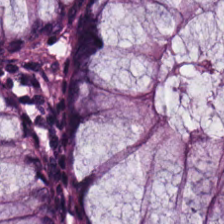H&E — normal colon mucosa.
